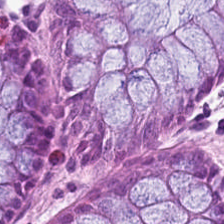This patch shows non-neoplastic colon mucosa.
